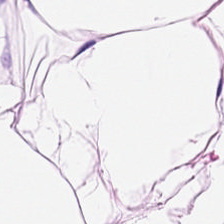Stain: hematoxylin and eosin.
Predominant tissue: fat tissue.
